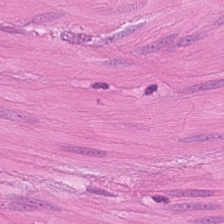H&E-stained tissue section. Q: What type of tissue is this?
A: This is muscularis.
